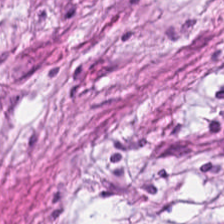{"tissue_type": "cancer-associated stroma"}
